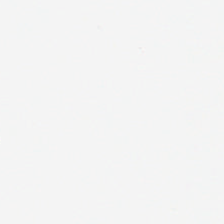Q: What is shown in this field?
A: The field shows background (no tissue).
